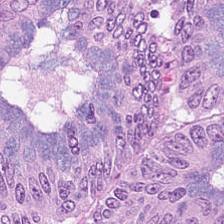Classification: colorectal adenocarcinoma epithelium.
